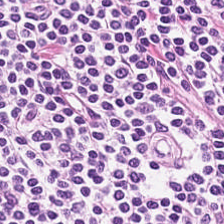Stain: hematoxylin and eosin.
Tile size: 224×224 px patch.
Preparation: FFPE.
Tissue class: lymphocytes.
